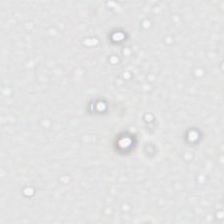No tissue present; background only.
